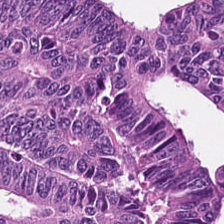Impression — malignant epithelium.
